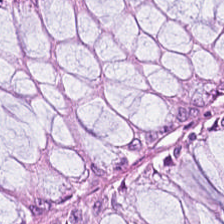FFPE. Hematoxylin-and-eosin stained section. WSI patch. Impression — benign colonic mucosa.
